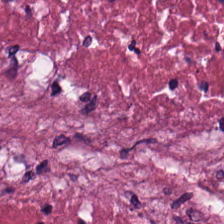Stain: H&E.
Predominant tissue: necrotic debris.
